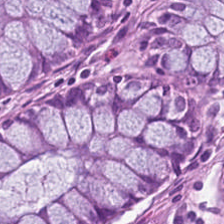This field is benign colonic mucosa.
